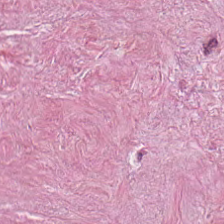224×224 pixel tile. H&E-stained tissue section. 0.5 µm per pixel — The tissue here is cancer-associated stroma.
